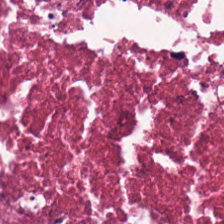H&E stain — This field is necrotic debris.
